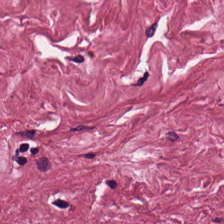Hematoxylin and eosin. The predominant tissue is desmoplastic stroma.
